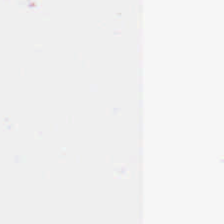H&E. No tissue present; background only.
